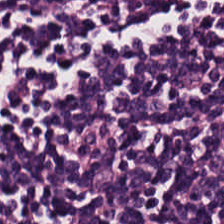Stain: H&E.
Tissue class: lymphocytic infiltrate.
